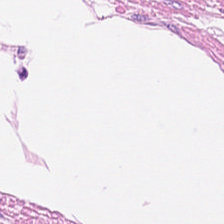H&E. Q: What tissue type is shown here?
A: It is smooth-muscle tissue.
